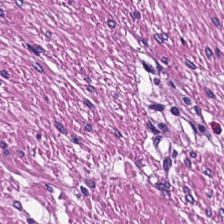Tissue type — muscularis.
